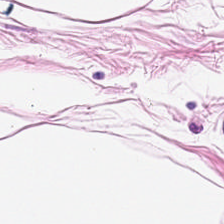Q: What tissue type is shown here?
A: This is adipose tissue.
